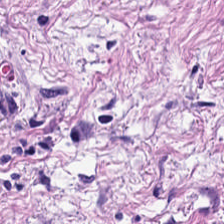H&E-stained tissue section — Tissue class: desmoplastic stroma.
